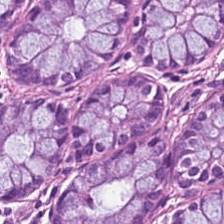224×224 px patch · H&E. Benign colonic mucosa.
